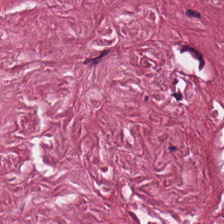Stain: H&E-stained tissue section.
Classification: tumor stroma.
